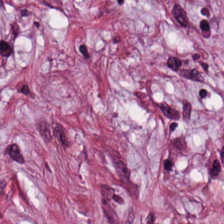0.5 µm per pixel. Hematoxylin and eosin. Whole-slide-image patch. {"tissue_type": "cancer-associated stroma"}
